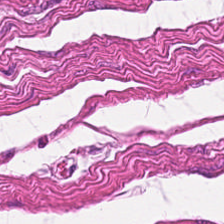Stain: hematoxylin-and-eosin stained section.
Acquisition: brightfield microscopy.
Predominant tissue: smooth muscle.
